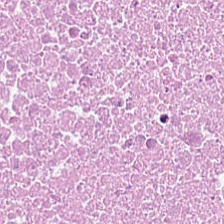Predominant tissue = cellular debris.
